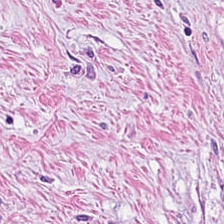Q: Classify this patch.
A: This is desmoplastic stroma.
